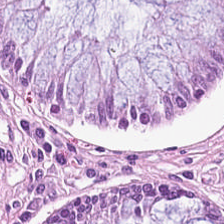Hematoxylin and eosin — Q: What is shown here?
A: Benign colonic mucosa.
